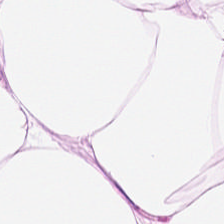H&E.
Tissue class — adipocytes.
